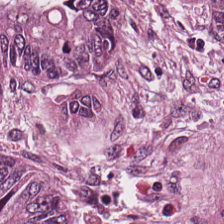H&E-stained tissue section. This field is colorectal adenocarcinoma epithelium.
